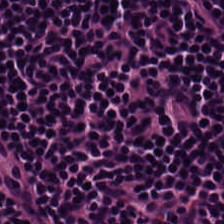Hematoxylin-and-eosin stained section · 0.5 µm per pixel · WSI patch. Tissue class — lymphocyte aggregate.
